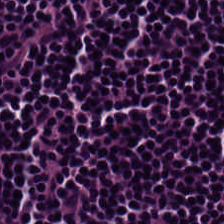FFPE tissue section; H&E. Q: Classify this patch.
A: Lymphocytes.
